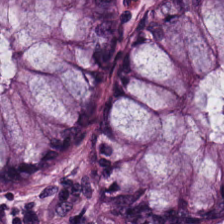H&E-stained tissue section — Q: What is the predominant tissue type?
A: Normal colon mucosa.
